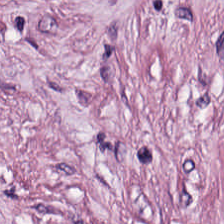H&E — desmoplastic stroma.
